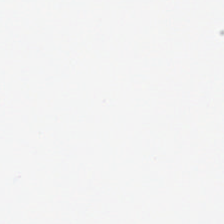0.5 microns per pixel. H&E-stained tissue section — Q: Classify this patch.
A: No tissue.
